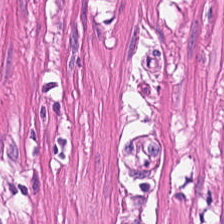H&E; brightfield.
This field is smooth-muscle tissue.
